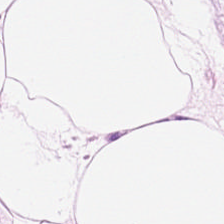Finding — adipose.
